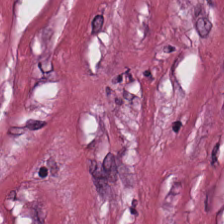Hematoxylin-and-eosin section: tumor stroma.
